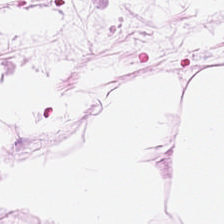Stain: hematoxylin-and-eosin stained section.
Tissue type: fat tissue.
